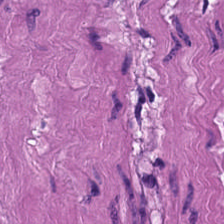H&E-stained tissue section. Tissue type: smooth muscle.
